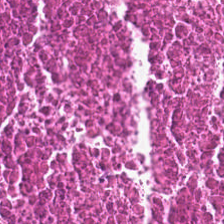Hematoxylin and eosin; FFPE tissue section; 20× equivalent magnification.
Q: Classify this patch.
A: It is cellular debris.
